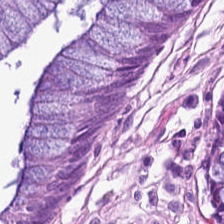H&E stain.
Predominant tissue: normal colon mucosa.
